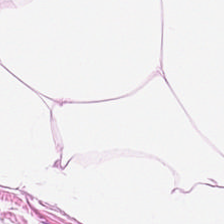Stain: hematoxylin-and-eosin stained section.
Tissue type: fat tissue.
